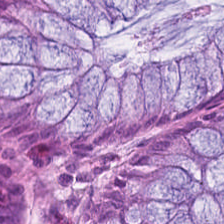Stain: hematoxylin and eosin.
Tissue type: normal colon mucosa.
